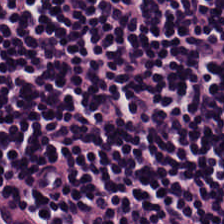H&E-stained tissue section. This field is lymphocytes.
